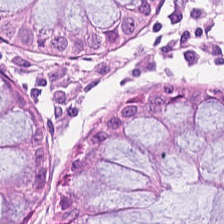224×224 pixel tile. H&E-stained tissue section. Classification — normal colon mucosa.
